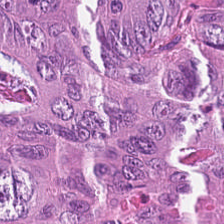Colorectal adenocarcinoma epithelium.
